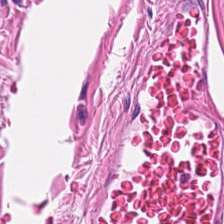Stain: hematoxylin and eosin.
Acquisition: brightfield microscopy.
Resolution: 0.5 microns per pixel.
Tissue class: muscularis.
